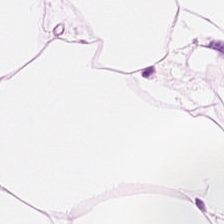Hematoxylin-and-eosin stained section.
Classification: adipocytes.
